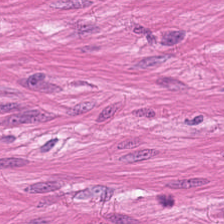Hematoxylin and eosin. Impression — smooth muscle.
